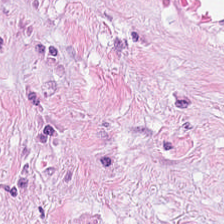H&E-stained tissue section. {"tissue_type": "cancer-associated stroma"}
